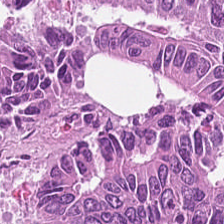H&E stain.
Tissue — adenocarcinoma.
